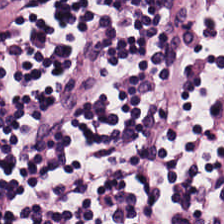0.5 µm per pixel. Hematoxylin-and-eosin stained section. FFPE tissue section — Showing lymphoid infiltrate.
